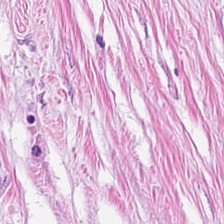H&E-stained tissue section. This field is tumor stroma.
